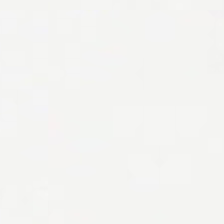Formalin-fixed paraffin-embedded section. Hematoxylin and eosin.
Field content: background (no tissue).
